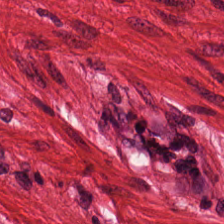H&E stain · 0.5 µm per pixel.
Histology — muscularis.
